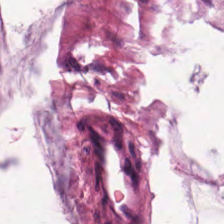0.5 µm per pixel. H&E-stained tissue section.
Histology — extracellular mucin.
